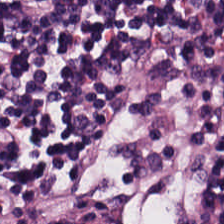H&E — Q: What type of tissue is this?
A: Lymphocytic infiltrate.
